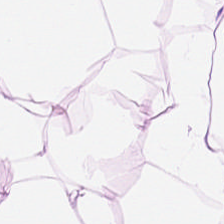H&E stain.
The tissue class is adipose tissue.
